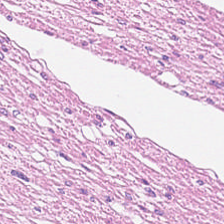WSI patch. Hematoxylin and eosin.
Smooth-muscle tissue.
